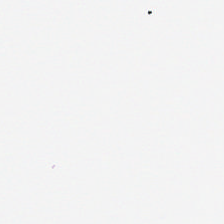Stain: H&E.
Field content: empty background.
